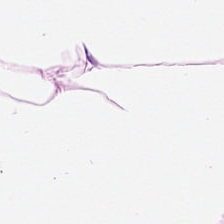Stain: hematoxylin and eosin.
Resolution: 0.5 µm/px.
Classification: adipose.
